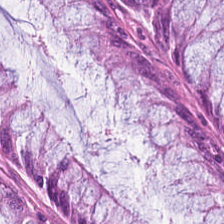H&E. 0.5 µm per pixel. 224×224 px patch.
{"tissue_type": "normal colonic mucosa"}
